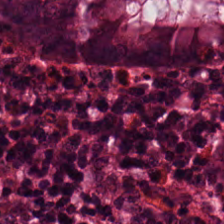Hematoxylin and eosin · 224×224 px patch — {"tissue_type": "benign colonic mucosa"}
